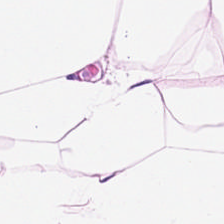H&E-stained tissue section · brightfield microscopy · 224×224 px tile. Q: Identify the tissue.
A: Fat tissue.
